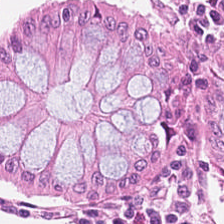224×224 pixel tile; hematoxylin-and-eosin stained section. Classification = normal colon mucosa.
